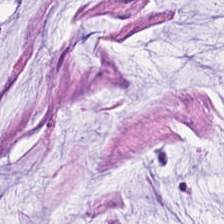20× equivalent magnification · hematoxylin-and-eosin stained section — The tissue class is mucus.
